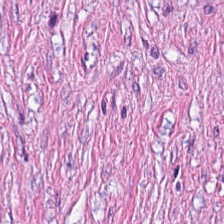H&E-stained section; the field shows tumor-associated stroma.
